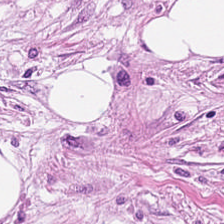Stain: H&E.
Classification: tumor stroma.
